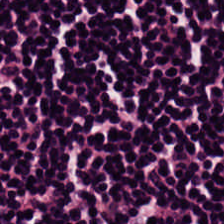H&E.
Lymphocyte aggregate.
